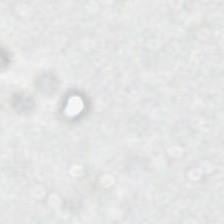Hematoxylin and eosin.
Q: What does this patch show?
A: This is empty background.
